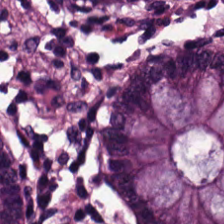H&E-stained tissue section. 224×224 px tile — {"tissue_type": "non-neoplastic colon mucosa"}
